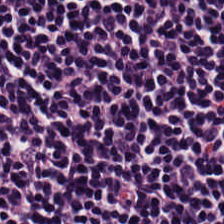Stain: hematoxylin and eosin.
Acquisition: brightfield.
Tile size: 224×224 px patch.
Predominant tissue: lymphocyte aggregate.
